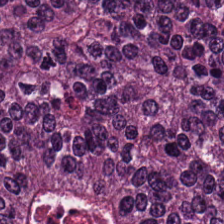Hematoxylin-and-eosin stained section; formalin-fixed paraffin-embedded section.
The classification is adenocarcinoma.
